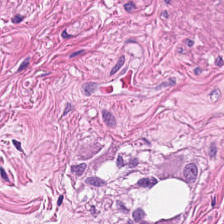Stain: hematoxylin and eosin.
Predominant tissue: smooth muscle.
